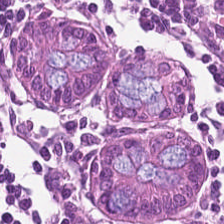Whole-slide-image patch · hematoxylin-and-eosin stained section. Predominantly non-neoplastic colon mucosa.
